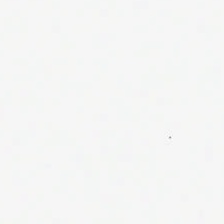Hematoxylin and eosin; 20× equivalent magnification; 224×224 px tile.
Q: Classify this patch.
A: Empty background.
